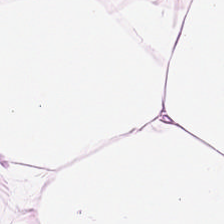Hematoxylin-and-eosin stained section — Tissue class: adipose tissue.
